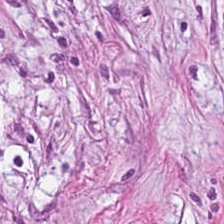FFPE tissue section; H&E-stained tissue section.
The tissue here is tumor-associated stroma.
